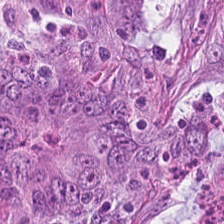Hematoxylin-and-eosin stained section; formalin-fixed paraffin-embedded section. Q: What does this patch show?
A: It is tumor epithelium.
